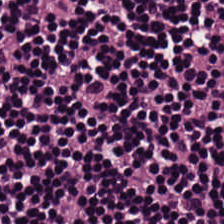Hematoxylin-and-eosin stained section — The tissue here is lymphocytes.
